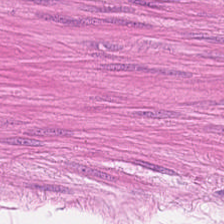Showing smooth-muscle tissue.
